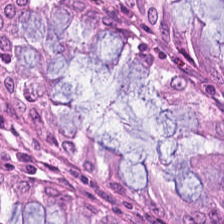{"tissue_type": "normal colonic mucosa"}
